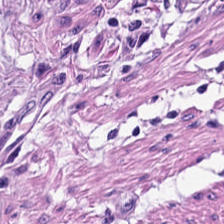H&E; FFPE.
Smooth-muscle tissue.
